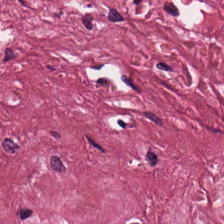H&E — Desmoplastic stroma.
